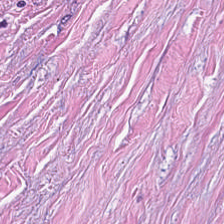{"tissue_type": "tumor stroma"}
